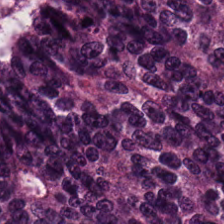H&E — The tissue here is adenocarcinoma.
